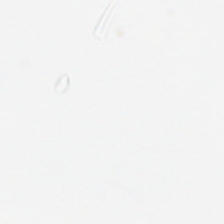H&E — Classification — background.
